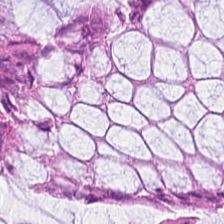Tissue class: normal colonic mucosa.
